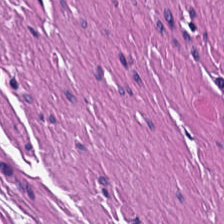The tissue is smooth-muscle tissue.
